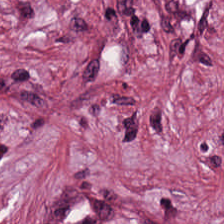Hematoxylin and eosin.
{"tissue_type": "cancer-associated stroma"}
